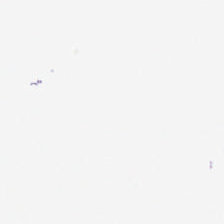Hematoxylin and eosin.
Q: What is shown in this field?
A: Empty background.
